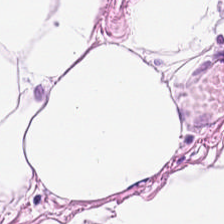20× equivalent magnification. H&E.
This patch shows adipose tissue.
